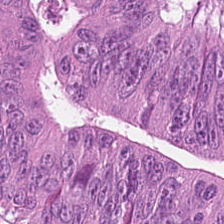H&E.
Tissue — adenocarcinoma.
